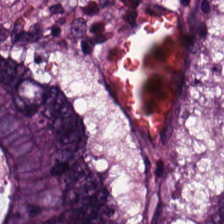Tissue — tumor epithelium.
